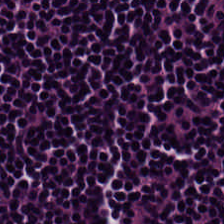H&E-stained tissue section.
Q: Identify the tissue.
A: Lymphoid infiltrate.
